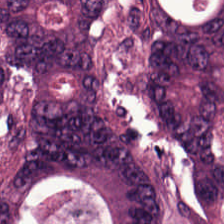Brightfield; H&E stain — The classification is tumor epithelium.
